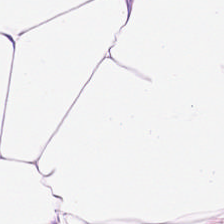Hematoxylin-and-eosin stained section — This field is adipose tissue.
